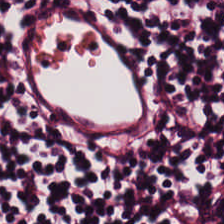20× equivalent magnification. Hematoxylin-and-eosin stained section. Brightfield microscopy. Lymphocyte aggregate.
